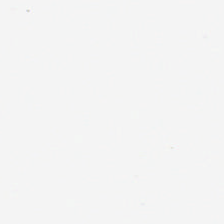0.5 microns per pixel · 224×224 px tile · H&E-stained tissue section.
Empty field — background (no tissue).
